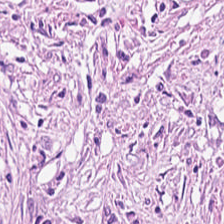0.5 µm/px · FFPE · H&E. Tissue — tumor stroma.
